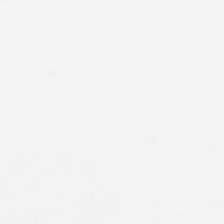H&E-stained tissue section — Empty background.
